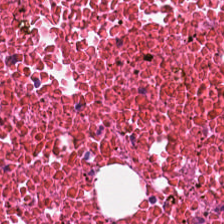FFPE. H&E stain. 0.5 µm per pixel.
Impression → cellular debris.
